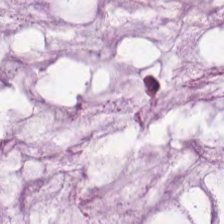H&E — extracellular mucin.
